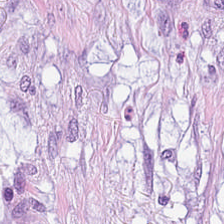Impression → mucus.
